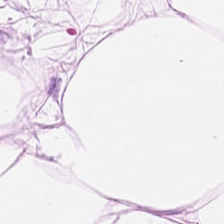The tissue here is adipose.
